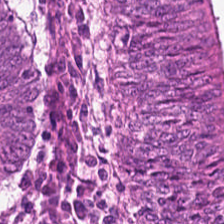H&E stain. 0.5 microns per pixel. FFPE. The predominant tissue is colorectal adenocarcinoma.
